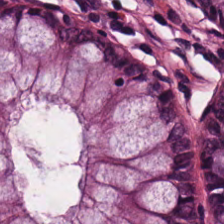Showing non-neoplastic colon mucosa.
